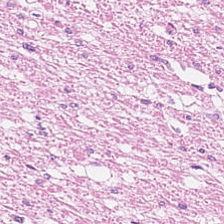Muscularis.
